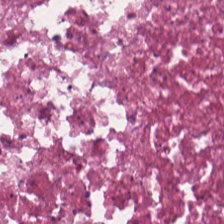H&E — Cellular debris.
